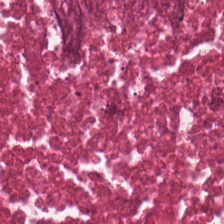H&E-stained tissue section.
Tissue class = cellular debris.
